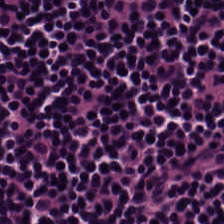Hematoxylin-and-eosin stained section. This patch shows lymphocytic infiltrate.
